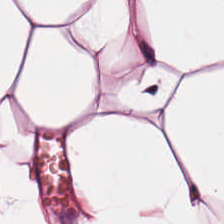H&E-stained tissue section; WSI patch — This field is fat tissue.
